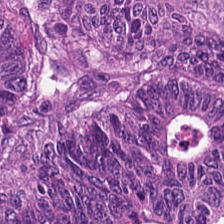20× equivalent magnification. Brightfield. Hematoxylin-and-eosin stained section — Predominantly adenocarcinoma.
